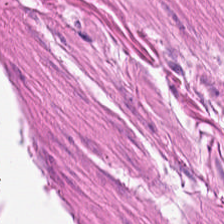H&E stain. Brightfield. Q: What is shown here?
A: It is smooth-muscle tissue.
